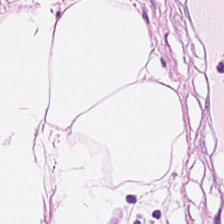H&E. Finding — adipose.
